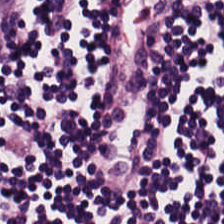0.5 microns per pixel. H&E-stained tissue section — The tissue here is lymphocyte aggregate.
